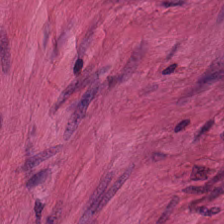H&E stain. This patch shows smooth muscle.
